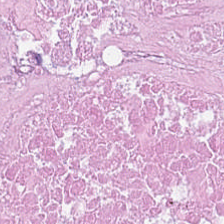H&E-stained tissue section · brightfield. Cellular debris.
